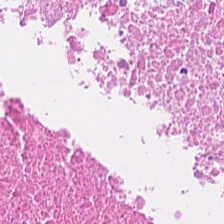Hematoxylin and eosin. FFPE tissue section. 0.5 µm/px — The tissue here is debris.
